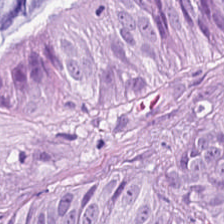H&E-stained tissue section — Tissue class — malignant epithelium.
